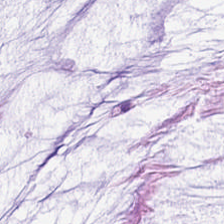H&E stain; 224×224 pixel tile — Finding — extracellular mucin.
